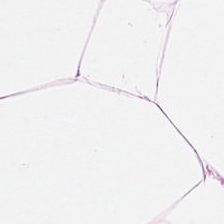H&E-stained tissue section — Tissue class: fat tissue.
